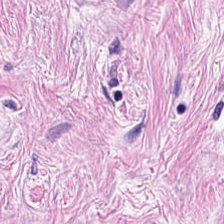Q: What tissue is shown?
A: This is cancer-associated stroma.
